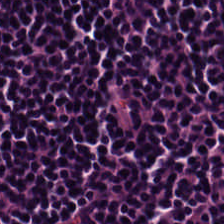Stain: H&E-stained tissue section.
Tissue: lymphocytic infiltrate.
